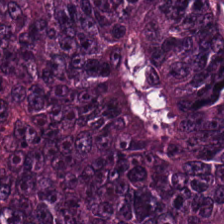H&E-stained tissue section.
This patch shows colorectal adenocarcinoma epithelium.
